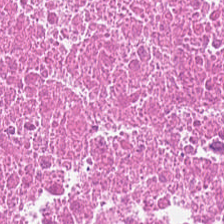FFPE · H&E stain · brightfield microscopy. Predominantly debris.
